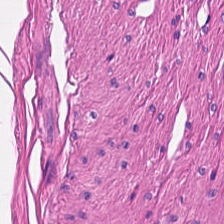Formalin-fixed paraffin-embedded section · H&E — Finding → smooth muscle.
